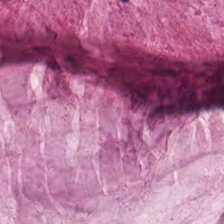H&E-stained tissue section. The predominant tissue is mucus.
